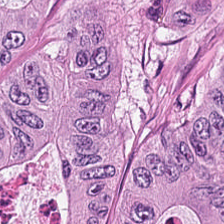H&E-stained tissue section — This field is colorectal adenocarcinoma.
